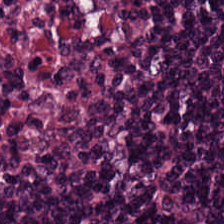Hematoxylin-and-eosin section: lymphocytic infiltrate.
